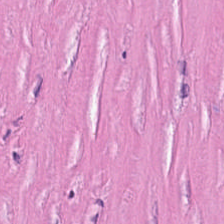Impression → tumor-associated stroma.
